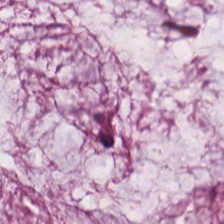Hematoxylin-and-eosin stained section. FFPE — Showing mucus.
